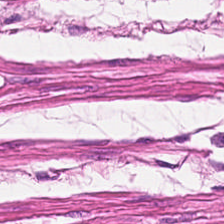Q: What is the predominant tissue type?
A: The field shows smooth muscle.
